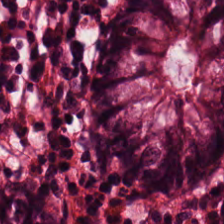Hematoxylin-and-eosin stained section.
Tissue type = normal colon mucosa.
